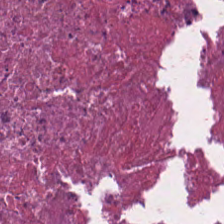Hematoxylin and eosin. 224×224 px patch. WSI patch.
The predominant tissue is debris.
